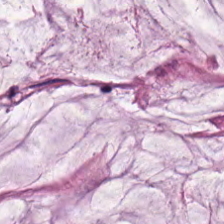Stain: H&E.
Resolution: 0.5 microns per pixel.
Acquisition: whole-slide-image patch.
Tissue type: extracellular mucin.
